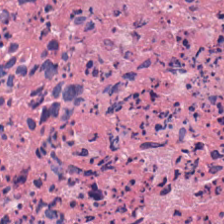H&E stain. Brightfield microscopy — The tissue here is necrotic debris.
